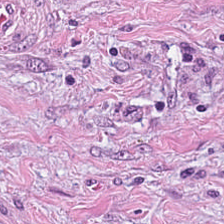Brightfield · hematoxylin-and-eosin stained section — Tissue type: desmoplastic stroma.
